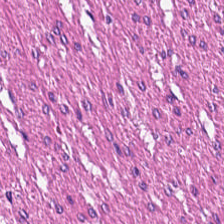H&E — smooth muscle.
